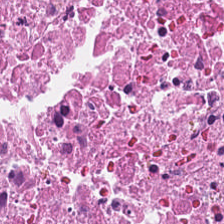Hematoxylin-and-eosin stained section. Tissue class = necrotic debris.
